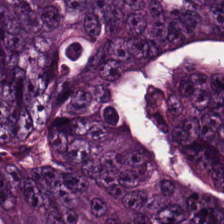H&E. 224×224 px patch. {"tissue_type": "colorectal adenocarcinoma"}
